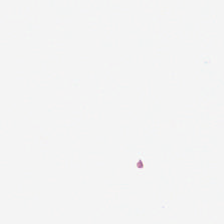{"content": "empty background"}
